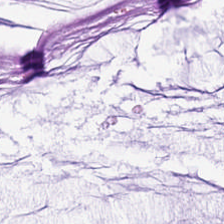0.5 µm per pixel. H&E stain.
Mucus.
